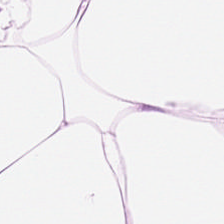Stain: hematoxylin and eosin.
Preparation: FFPE.
Acquisition: brightfield microscopy.
Tissue class: adipocytes.
